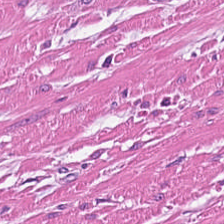{"tissue_type": "smooth-muscle tissue"}
